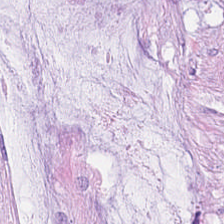The classification is mucus.
